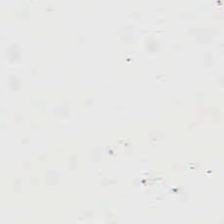Hematoxylin-and-eosin stained section.
No tissue present; background only.
